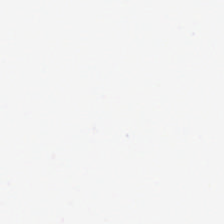H&E-stained tissue section — Q: What is shown here?
A: The field shows background (no tissue).
